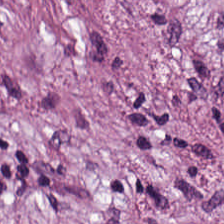H&E stain — Tumor-associated stroma.
